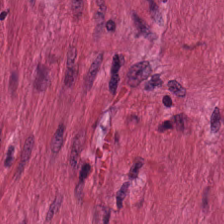Impression → smooth muscle.
